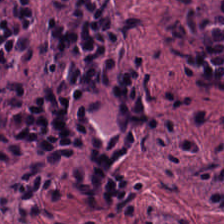Formalin-fixed paraffin-embedded section · H&E-stained tissue section. The tissue is lymphocyte aggregate.
